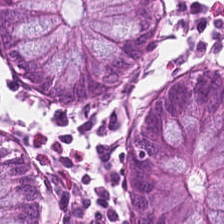Hematoxylin-and-eosin stained section. {"tissue_type": "non-neoplastic colon mucosa"}
